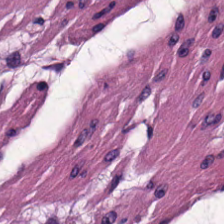Q: What tissue is shown?
A: The field shows muscularis.
